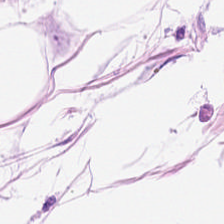H&E-stained tissue section.
Predominantly adipose tissue.
